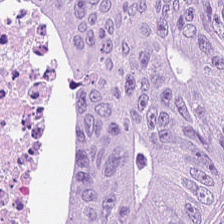Hematoxylin and eosin.
Classification — malignant epithelium.
